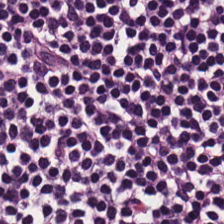Stain: H&E stain.
Preparation: FFPE.
Classification: lymphocytes.
